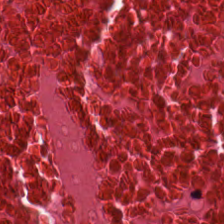Hematoxylin and eosin. Histology → debris.
